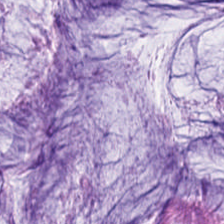Hematoxylin-and-eosin stained section. This field is extracellular mucin.
